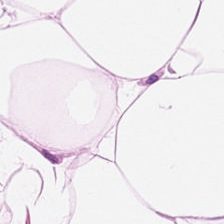H&E stain.
This patch shows adipocytes.
